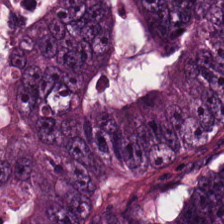H&E · 0.5 µm per pixel · brightfield microscopy — Predominantly colorectal adenocarcinoma.
